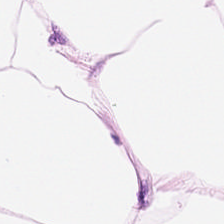Predominant tissue = fat tissue.
